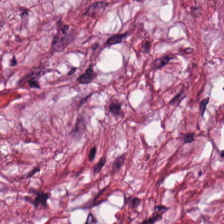H&E patch showing desmoplastic stroma.
